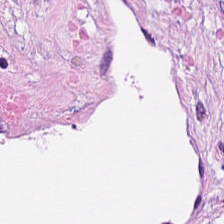H&E stain — Showing desmoplastic stroma.
